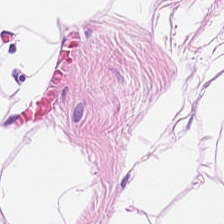224×224 px tile · hematoxylin-and-eosin stained section · brightfield microscopy. Q: What is shown in this field?
A: The field shows adipose.
